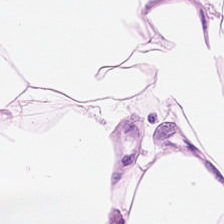0.5 microns per pixel. Hematoxylin and eosin.
Fat tissue.
